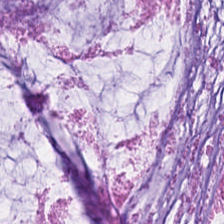H&E — Q: What is shown in this field?
A: It is extracellular mucin.
